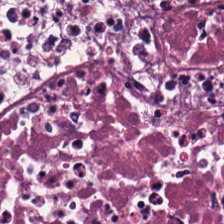Whole-slide-image patch. Formalin-fixed paraffin-embedded section. H&E-stained tissue section. Debris.
